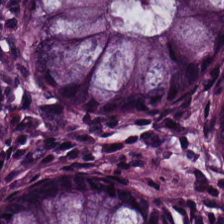224×224 px tile. H&E-stained tissue section — Showing normal colon mucosa.
